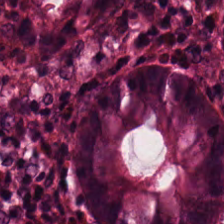Tissue type: non-neoplastic colon mucosa.
